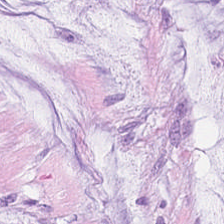H&E — mucin.
